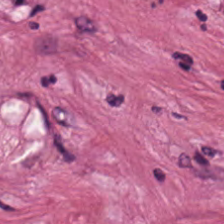H&E patch showing desmoplastic stroma.
